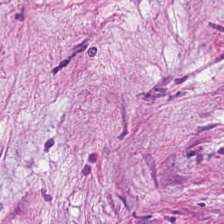H&E. This patch shows tumor stroma.
